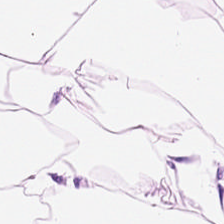224×224 pixel tile. Hematoxylin and eosin. WSI patch.
This patch shows adipose tissue.
